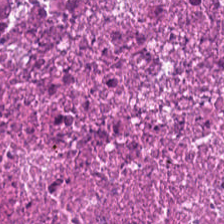Stain: hematoxylin-and-eosin stained section.
Resolution: 20× equivalent magnification.
Predominant tissue: debris.
